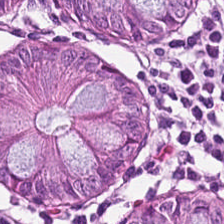H&E stain.
{"tissue_type": "benign colonic mucosa"}
